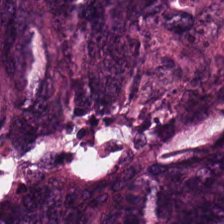Hematoxylin-and-eosin stained section.
Showing colorectal adenocarcinoma epithelium.
